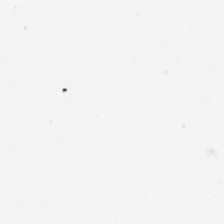Hematoxylin and eosin.
Q: What is shown in this field?
A: The field shows background (no tissue).
